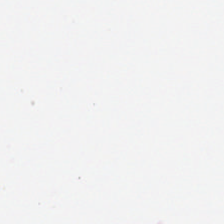Hematoxylin and eosin — Content = background.
